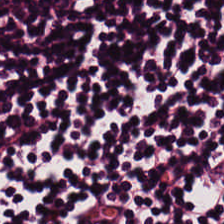Brightfield microscopy · hematoxylin and eosin — The tissue is lymphocyte aggregate.
